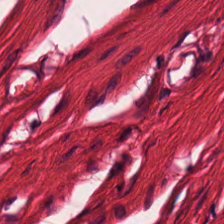Q: What type of tissue is this?
A: The field shows smooth muscle.
